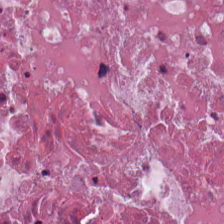Stain: hematoxylin and eosin.
Tile size: 224×224 pixel tile.
Tissue class: necrotic debris.
